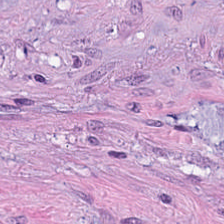Stain: hematoxylin-and-eosin stained section.
Tissue: tumor stroma.
